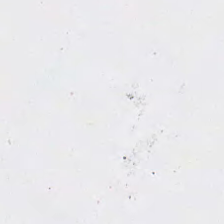Stain: H&E.
Field content: empty background.
